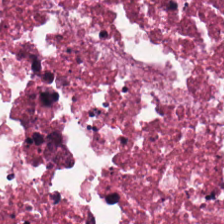H&E-stained tissue section; whole-slide-image patch; 224×224 pixel tile.
This patch shows cellular debris.
